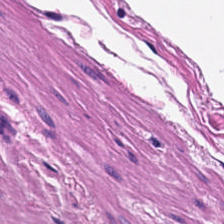Hematoxylin-and-eosin section: muscularis.
